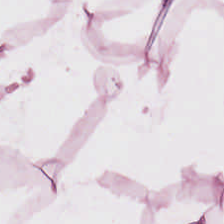Finding → adipocytes.
